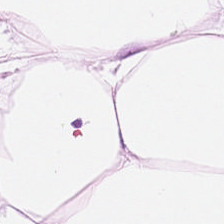Formalin-fixed paraffin-embedded section; hematoxylin and eosin.
This patch shows fat tissue.
